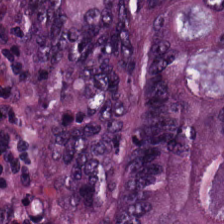Hematoxylin and eosin.
This field is adenocarcinoma.
